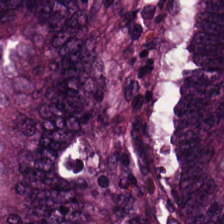0.5 microns per pixel. FFPE. Hematoxylin-and-eosin stained section.
Tissue class = colorectal adenocarcinoma epithelium.
